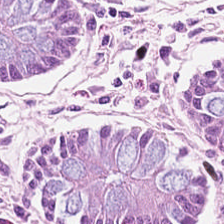Hematoxylin-and-eosin section: non-neoplastic colon mucosa.
